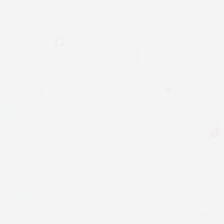224×224 pixel tile; 0.5 µm per pixel; hematoxylin and eosin — Classification = background.
